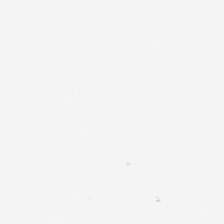H&E stain. Empty background.
